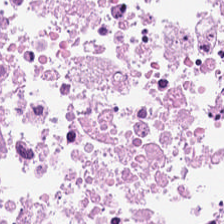H&E; 224×224 pixel tile. Predominantly necrotic debris.
